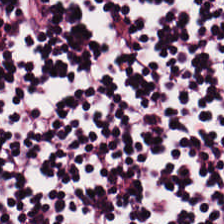Hematoxylin and eosin; FFPE tissue section; whole-slide-image patch. The predominant tissue is lymphocytic infiltrate.
